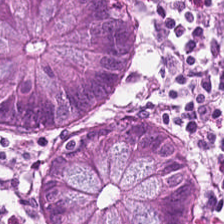H&E-stained tissue section — The tissue here is benign colonic mucosa.
